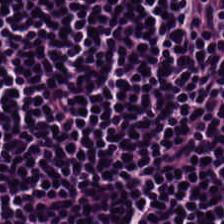H&E. Q: What is the predominant tissue type?
A: It is lymphocytic infiltrate.
